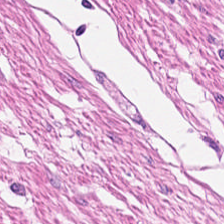224×224 pixel tile · whole-slide-image patch · H&E stain. Predominant tissue = smooth-muscle tissue.
